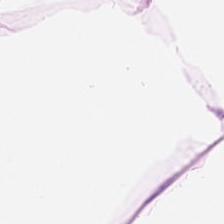H&E stain; FFPE tissue section. Adipose tissue.
